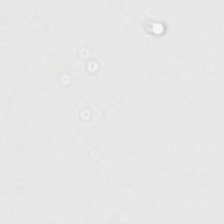WSI patch; hematoxylin and eosin.
Background — no tissue in this field.
